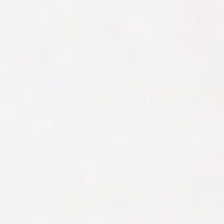Stain: H&E-stained tissue section.
Field content: empty background.
